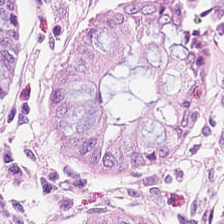H&E. Impression → normal colon mucosa.
